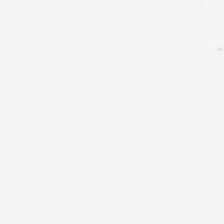Stain: H&E-stained tissue section.
Tile size: 224×224 px tile.
Resolution: 20× equivalent magnification.
Classification: empty background.
